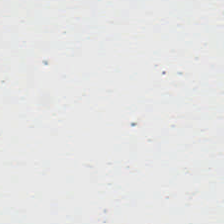H&E — Field content = background (no tissue).
